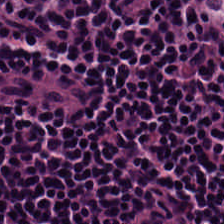H&E stain. Predominantly lymphoid infiltrate.
